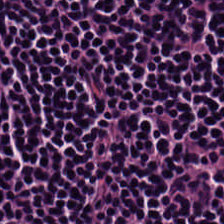H&E; 224×224 pixel tile — Q: What tissue is shown?
A: This is lymphocyte aggregate.
